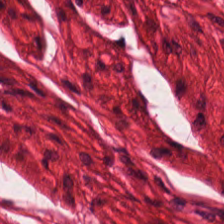This patch shows smooth muscle.
